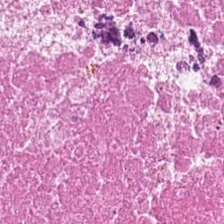0.5 µm per pixel. 224×224 px tile. Hematoxylin-and-eosin stained section — Q: What is shown here?
A: This is cellular debris.
